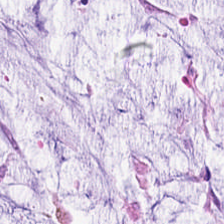Stain: H&E-stained tissue section.
Tissue type: extracellular mucin.
